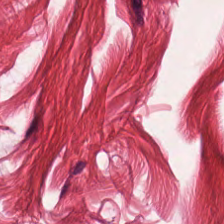H&E.
Q: What is shown in this field?
A: The field shows smooth-muscle tissue.
